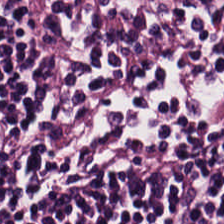H&E. Predominantly lymphocytic infiltrate.
